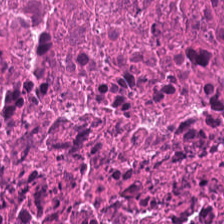Hematoxylin-and-eosin stained section. Formalin-fixed paraffin-embedded section — Predominant tissue: necrotic debris.
